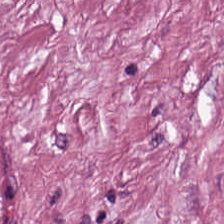H&E-stained tissue section; 0.5 µm/px — Showing tumor stroma.
